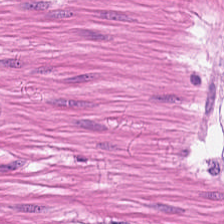Formalin-fixed paraffin-embedded section · H&E stain · 224×224 px tile — Predominantly smooth-muscle tissue.
